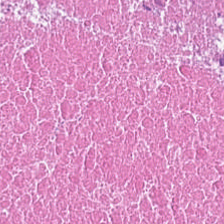Hematoxylin and eosin. {"tissue_type": "debris"}
